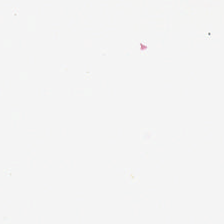H&E stain. No tissue present; background only.
